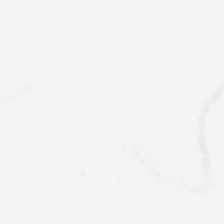Classification: no tissue.
